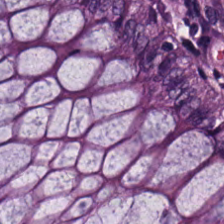H&E-stained section; the field shows benign colonic mucosa.
